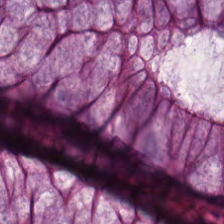H&E-stained tissue section. {"tissue_type": "normal colonic mucosa"}
